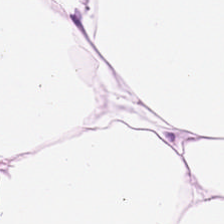The predominant tissue is adipocytes.
